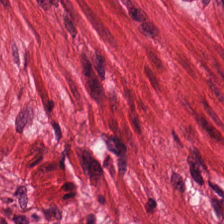Q: Identify the tissue.
A: This is muscularis.
